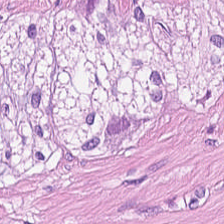H&E · 224×224 px patch. Q: What is shown in this field?
A: It is muscularis.
